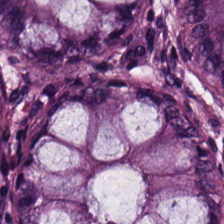Formalin-fixed paraffin-embedded section. Hematoxylin and eosin. Predominant tissue = non-neoplastic colon mucosa.
